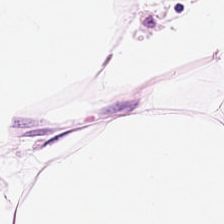WSI patch. H&E stain. 224×224 px patch — Adipose.
